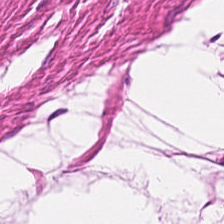Hematoxylin-and-eosin section: smooth muscle.
